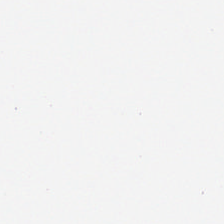H&E.
{"content": "background"}
